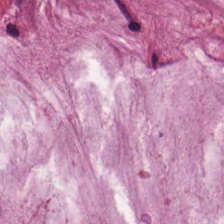Hematoxylin-and-eosin stained section · 20× equivalent magnification. Predominantly mucus.
